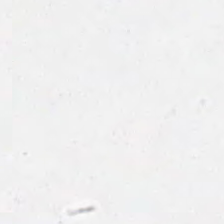H&E-stained tissue section. Histology → background.
